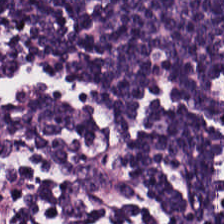H&E-stained tissue section — The tissue here is lymphocytic infiltrate.
